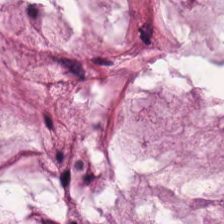Q: What is the predominant tissue type?
A: Mucin.
